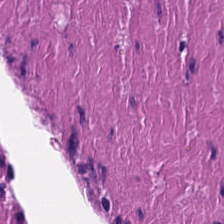H&E-stained tissue section.
{"tissue_type": "smooth muscle"}
